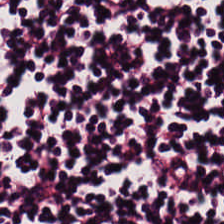Brightfield microscopy · H&E. {"tissue_type": "lymphoid infiltrate"}
